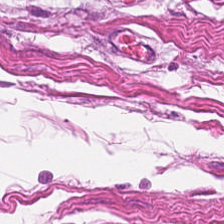Hematoxylin-and-eosin stained section.
Predominantly muscularis.
